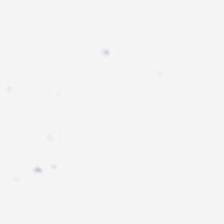Field content = background.
